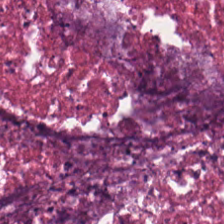Hematoxylin-and-eosin stained section — Tissue — cellular debris.
